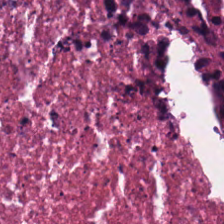H&E-stained tissue section · 20× equivalent magnification · 224×224 pixel tile.
This field is cellular debris.
